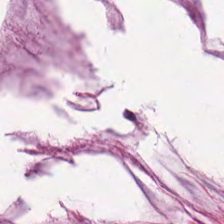Hematoxylin-and-eosin stained section.
This field is mucus.
